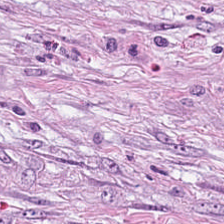Hematoxylin and eosin.
The tissue class is cancer-associated stroma.
